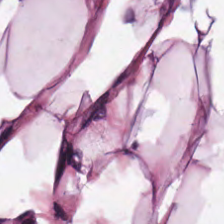H&E-stained tissue section; 224×224 px tile. Predominantly adipose.
